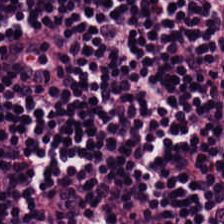Hematoxylin and eosin. The tissue here is lymphocyte aggregate.
